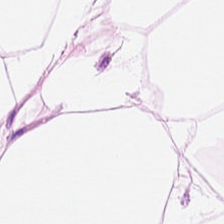H&E stain. Predominant tissue: adipocytes.
